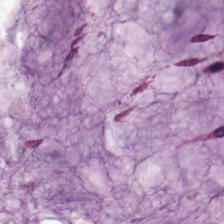H&E stain.
Predominant tissue: mucin.
